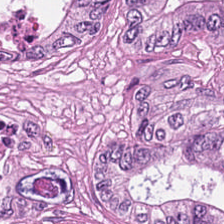Hematoxylin-and-eosin stained section. The predominant tissue is adenocarcinoma.
